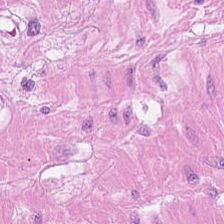H&E-stained section; the field shows muscularis.
